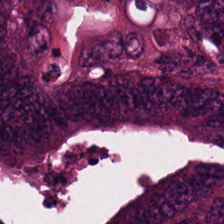Hematoxylin and eosin. Colorectal adenocarcinoma epithelium.
